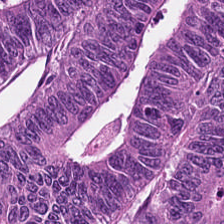Hematoxylin and eosin. The tissue here is malignant epithelium.
